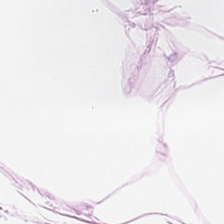Adipocytes.
